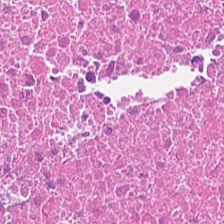Q: What does this patch show?
A: The field shows debris.
